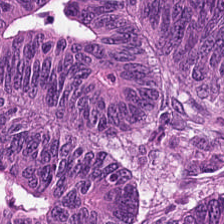H&E stain.
This field is adenocarcinoma.
